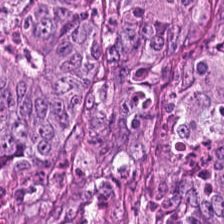Colorectal adenocarcinoma.
